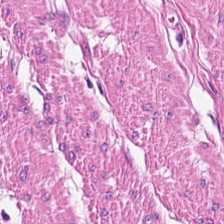H&E patch showing smooth-muscle tissue.
